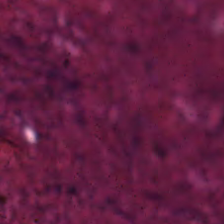Q: What is shown here?
A: Necrotic debris.
